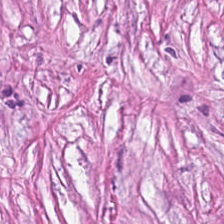Hematoxylin and eosin.
Impression — cancer-associated stroma.
